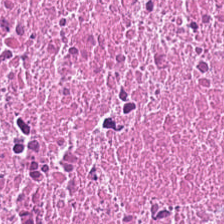Predominantly cellular debris.
